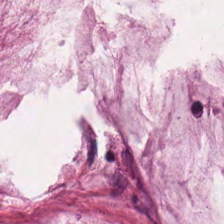0.5 µm/px; hematoxylin-and-eosin stained section; WSI patch — Finding → mucus.
